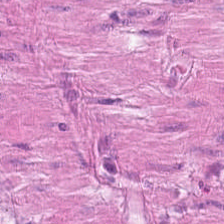Hematoxylin and eosin; brightfield microscopy. Impression — muscularis.
